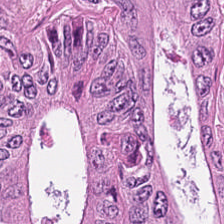224×224 pixel tile; FFPE tissue section; H&E stain.
Tissue class — malignant epithelium.
